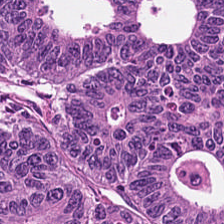Stain: H&E-stained tissue section.
Tile size: 224×224 px tile.
Tissue type: colorectal adenocarcinoma.
